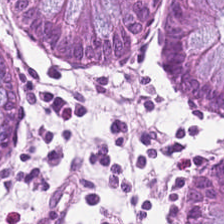0.5 µm/px. Hematoxylin-and-eosin stained section. Impression → normal colon mucosa.
